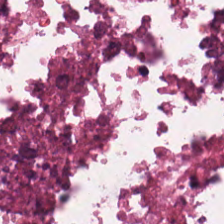Histology → necrotic debris.
